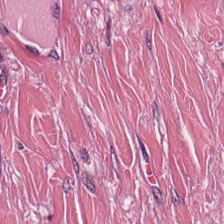Classification: cancer-associated stroma.
